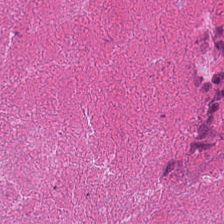H&E stain · 224×224 pixel tile · brightfield microscopy.
Predominantly debris.
